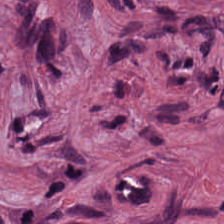Q: What is shown in this field?
A: The field shows desmoplastic stroma.
